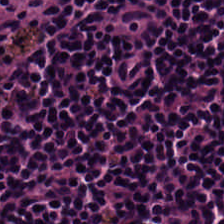Whole-slide-image patch; hematoxylin and eosin.
This patch shows lymphocyte aggregate.
